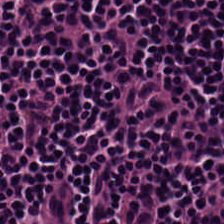Hematoxylin-and-eosin stained section. Formalin-fixed paraffin-embedded section.
The predominant tissue is lymphocyte aggregate.
